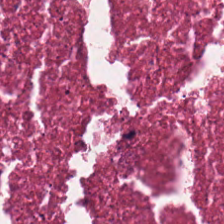Stain: H&E stain.
Tissue type: debris.
